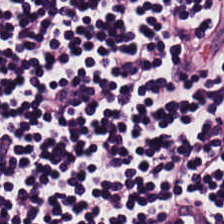H&E-stained tissue section; whole-slide-image patch — Q: What is shown in this field?
A: Lymphocyte aggregate.
